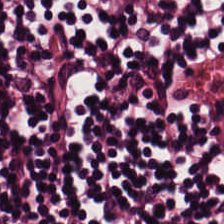Hematoxylin-and-eosin stained section — Finding — lymphocytic infiltrate.
